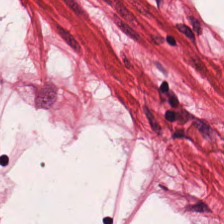{"tissue_type": "muscularis"}
